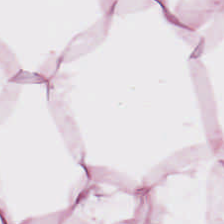Hematoxylin and eosin. 224×224 px patch.
This field is adipose tissue.
